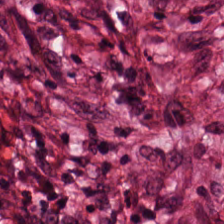Classification = desmoplastic stroma.
